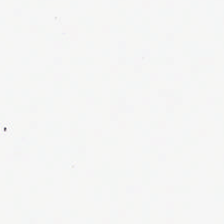0.5 microns per pixel; brightfield microscopy; H&E stain.
No tissue.
